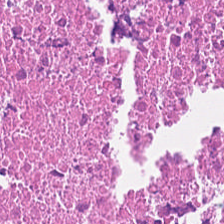Predominantly necrotic debris.
